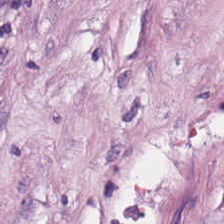H&E stain.
The predominant tissue is tumor stroma.
